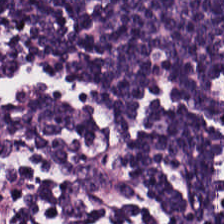Hematoxylin and eosin. Tissue class — lymphocytic infiltrate.
